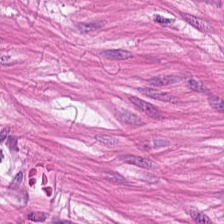Q: Classify this patch.
A: It is smooth muscle.
